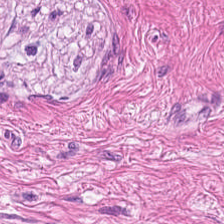This patch shows muscularis.
